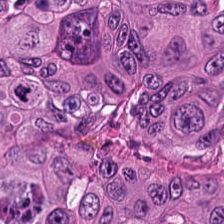Hematoxylin-and-eosin section: malignant epithelium.
